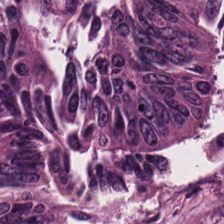Stain: hematoxylin-and-eosin stained section.
Resolution: 0.5 µm per pixel.
Preparation: FFPE tissue section.
Classification: colorectal adenocarcinoma.
